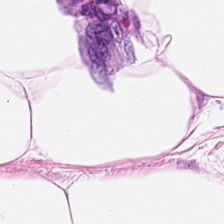WSI patch; 0.5 microns per pixel; H&E.
Q: What does this patch show?
A: It is fat tissue.
